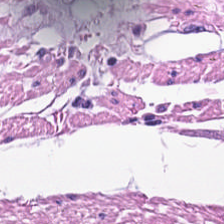Hematoxylin-and-eosin stained section; brightfield microscopy.
Histology — smooth-muscle tissue.
